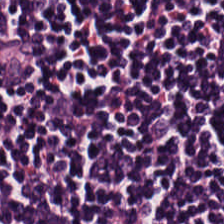Stain: H&E stain.
Classification: lymphocytes.
